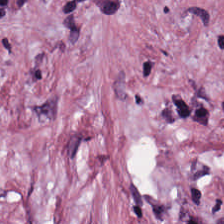Hematoxylin-and-eosin stained section — Tissue type: tumor-associated stroma.
